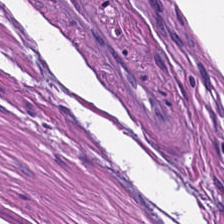H&E-stained tissue section. The tissue here is smooth muscle.
